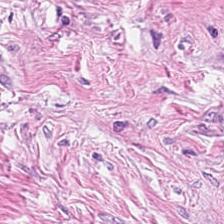WSI patch; hematoxylin-and-eosin stained section — Tumor-associated stroma.
